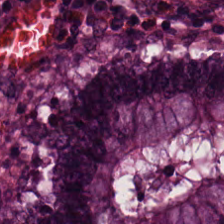Brightfield; H&E-stained tissue section.
Q: What is the predominant tissue type?
A: Benign colonic mucosa.
